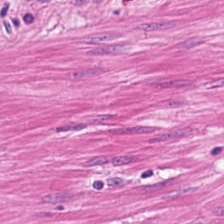H&E-stained tissue section; formalin-fixed paraffin-embedded section. This field is smooth-muscle tissue.
